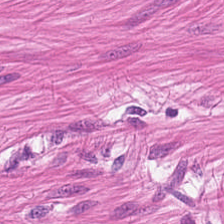H&E-stained tissue section — Tissue type = smooth muscle.
